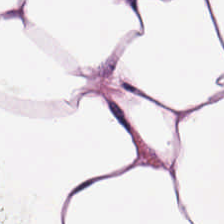Stain: hematoxylin-and-eosin stained section.
Tissue class: adipose tissue.
